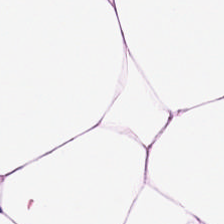Hematoxylin and eosin. This field is adipose.
